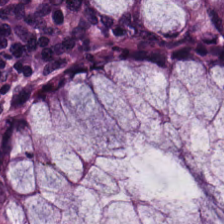The predominant tissue is non-neoplastic colon mucosa.
